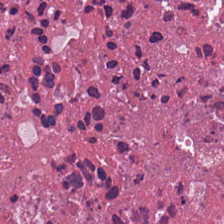Brightfield microscopy; H&E-stained tissue section; 0.5 µm per pixel.
Classification: necrotic debris.
